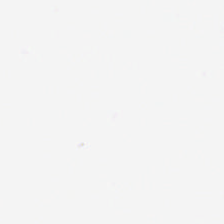Hematoxylin-and-eosin stained section — Empty background.
